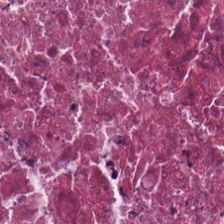This field is cellular debris.
